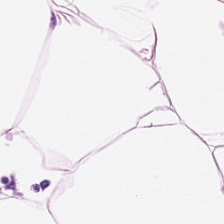H&E — fat tissue.
